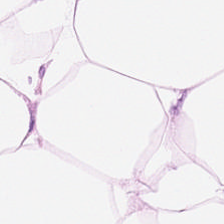H&E-stained tissue section. 224×224 px tile — Q: What is shown in this field?
A: The field shows fat tissue.
